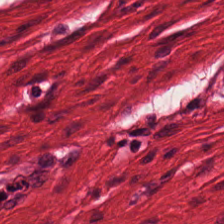H&E stain. Histology — smooth-muscle tissue.
